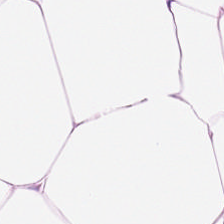H&E stain — Tissue class: adipose.
